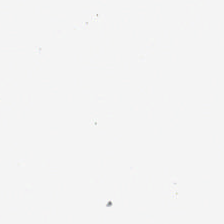H&E-stained tissue section. Q: What does this patch show?
A: The field shows background (no tissue).
